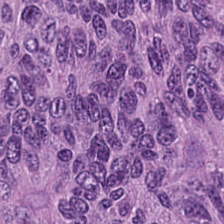224×224 pixel tile; 0.5 microns per pixel; H&E-stained tissue section.
Tissue type: colorectal adenocarcinoma epithelium.
